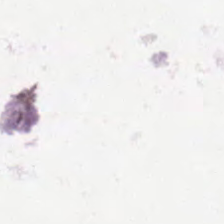H&E stain · 224×224 pixel tile — Empty field — background.
